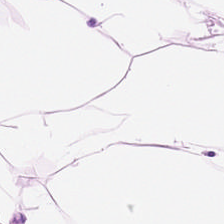Hematoxylin-and-eosin stained section. Classification — adipocytes.
